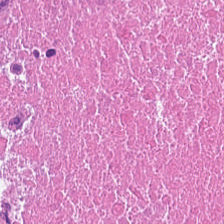WSI patch. FFPE. Hematoxylin and eosin — Q: What tissue type is shown here?
A: The field shows necrotic debris.
